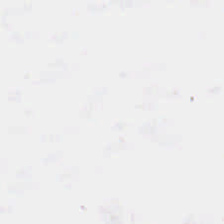Hematoxylin and eosin · 0.5 microns per pixel · FFPE — Classification — empty background.
